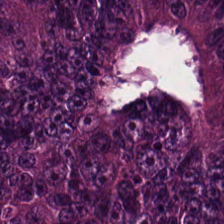H&E; whole-slide-image patch; 224×224 pixel tile. Predominant tissue — malignant epithelium.
